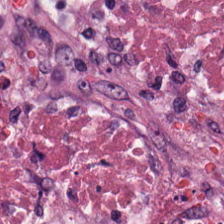Stain: H&E stain.
Resolution: 20× equivalent magnification.
Tissue class: cellular debris.
